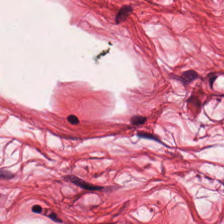Brightfield microscopy. H&E stain. Tissue class: smooth-muscle tissue.
